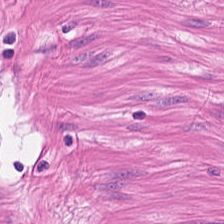Predominant tissue — smooth muscle.
